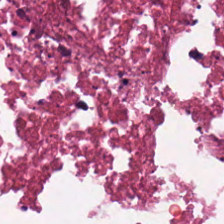Q: What tissue type is shown here?
A: It is cellular debris.
